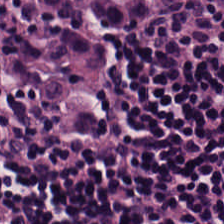H&E stain. {"tissue_type": "lymphoid infiltrate"}
